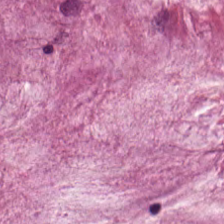0.5 µm per pixel. Hematoxylin-and-eosin stained section. FFPE tissue section.
Predominant tissue: extracellular mucin.
